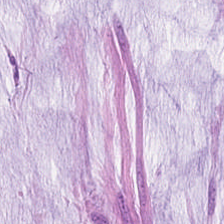H&E stain. 224×224 px patch. Brightfield — The predominant tissue is mucin.
